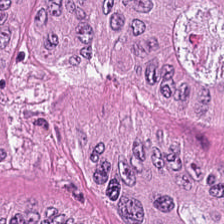Classification — tumor epithelium.
